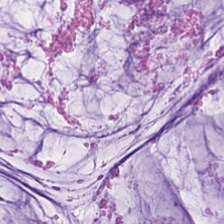H&E stain. Showing mucin.
